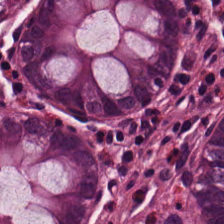H&E-stained tissue section · 0.5 µm per pixel · FFPE. Tissue type = normal colon mucosa.
